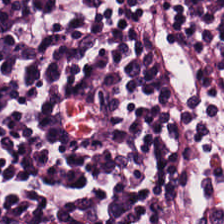Stain: H&E stain.
Tissue class: lymphocytes.
